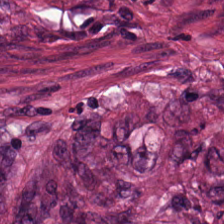FFPE tissue section. H&E. Histology — tumor stroma.
